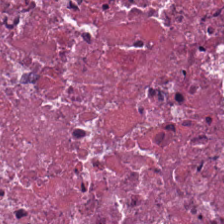The predominant tissue is necrotic debris.
